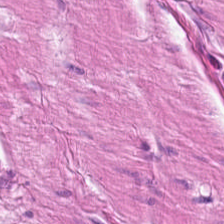FFPE · WSI patch · H&E stain — This field is smooth-muscle tissue.
